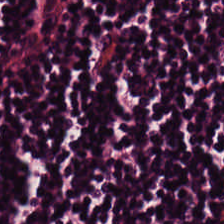Stain: hematoxylin and eosin.
Tissue class: lymphocytes.
